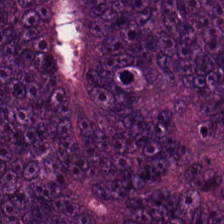Q: Identify the tissue.
A: Malignant epithelium.
